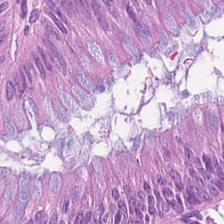Hematoxylin and eosin. FFPE. Brightfield. Q: What is shown here?
A: It is adenocarcinoma.
